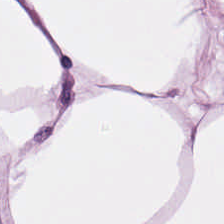H&E stain · brightfield.
Tissue = adipocytes.
